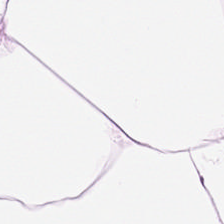Hematoxylin and eosin; 0.5 µm per pixel.
Predominantly fat tissue.
